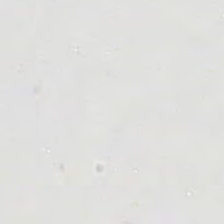H&E.
Q: What is shown in this field?
A: Background.
